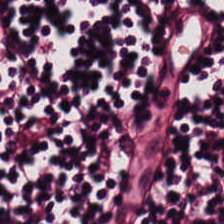H&E stain · 0.5 µm per pixel. Showing lymphoid infiltrate.
